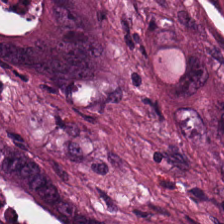224×224 pixel tile; hematoxylin-and-eosin stained section. Q: What is the predominant tissue type?
A: This is colorectal adenocarcinoma.
